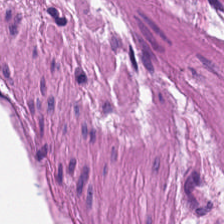FFPE; H&E stain; 224×224 pixel tile.
Q: What does this patch show?
A: It is smooth-muscle tissue.
